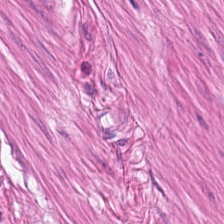Stain: hematoxylin and eosin.
Tissue class: smooth-muscle tissue.
